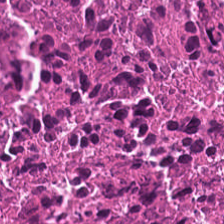Classification = necrotic debris.
